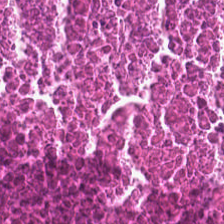H&E stain.
Classification — debris.
